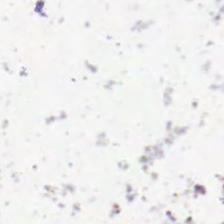H&E · 0.5 µm per pixel.
This field is background (no tissue).
